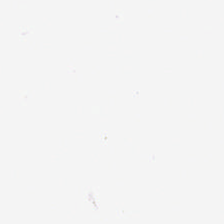Hematoxylin and eosin · brightfield microscopy. This patch shows empty background.
